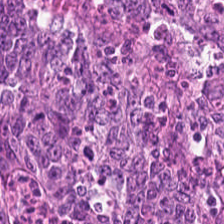Brightfield; H&E-stained tissue section — The classification is malignant epithelium.
